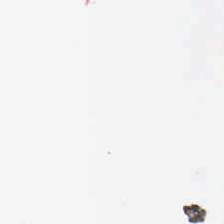H&E-stained tissue section. Background — no tissue in this field.
